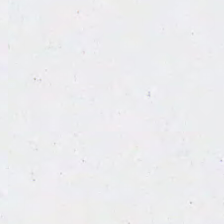H&E — This patch shows no tissue.
